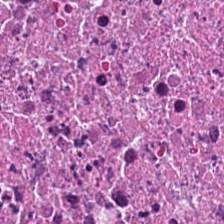Stain: H&E.
Preparation: FFPE.
Tissue type: debris.
